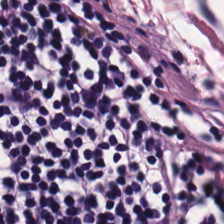Brightfield microscopy · 20× equivalent magnification · hematoxylin-and-eosin stained section.
{"tissue_type": "lymphocyte aggregate"}
